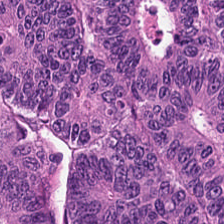H&E stain · 0.5 microns per pixel.
Tissue class: adenocarcinoma.
